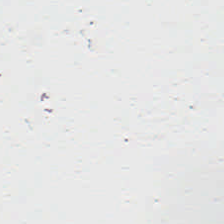H&E stain — No tissue present; background only.
